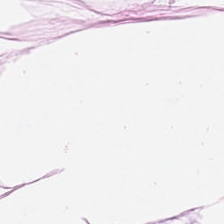H&E-stained tissue section — The tissue class is adipose tissue.
